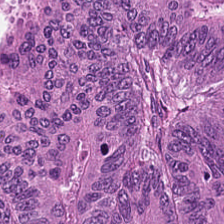Q: What is shown in this field?
A: Adenocarcinoma.
